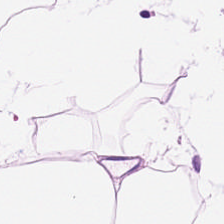Finding → adipose.
